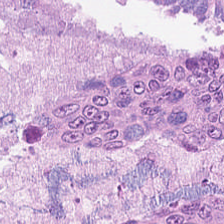Formalin-fixed paraffin-embedded section. Hematoxylin-and-eosin stained section. Whole-slide-image patch — Tissue = adenocarcinoma.
